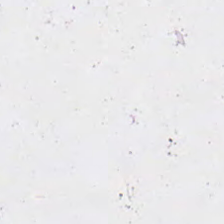Content: background.
